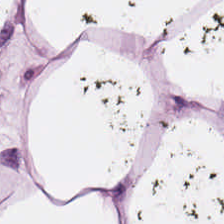Stain: H&E-stained tissue section.
Tissue: adipose tissue.
